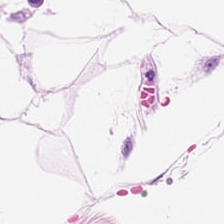{"tissue_type": "adipose tissue"}
